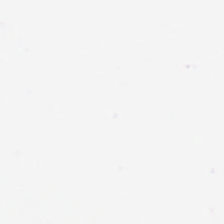H&E stain; 224×224 pixel tile. Empty field — background (no tissue).
